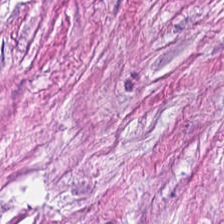H&E — tumor stroma.
